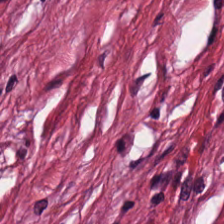Tumor-associated stroma.
